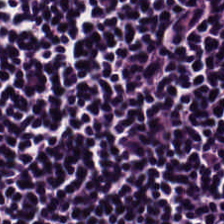Q: Classify this patch.
A: Lymphoid infiltrate.
